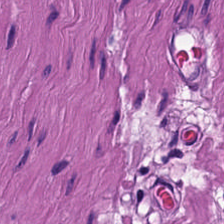Showing smooth muscle.
